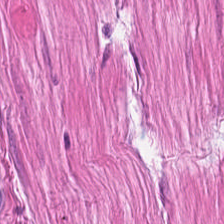20× equivalent magnification. H&E-stained tissue section.
Smooth-muscle tissue.
